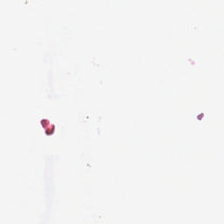Hematoxylin and eosin. {"content": "empty background"}
